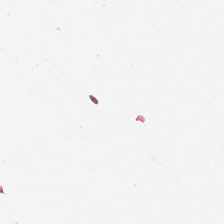FFPE. H&E stain. Background.
